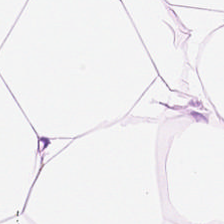Finding — fat tissue.
